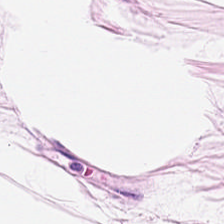H&E.
Showing fat tissue.
